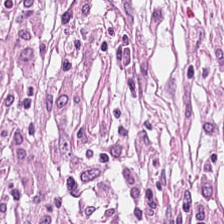Stain: hematoxylin and eosin.
Tissue class: tumor-associated stroma.
